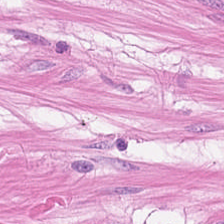H&E-stained tissue section — {"tissue_type": "smooth-muscle tissue"}
